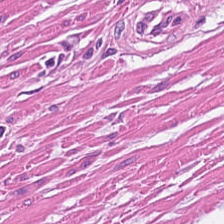H&E stain. Q: What is shown here?
A: This is muscularis.
